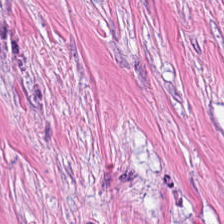Predominantly tumor-associated stroma.
